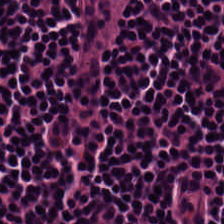Formalin-fixed paraffin-embedded section · brightfield microscopy · hematoxylin-and-eosin stained section.
The tissue is lymphocytic infiltrate.
